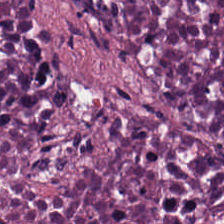Q: What is shown in this field?
A: Necrotic debris.
